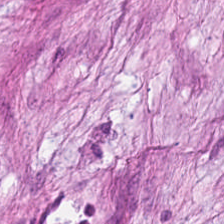224×224 px patch · H&E · formalin-fixed paraffin-embedded section.
Predominantly cancer-associated stroma.
